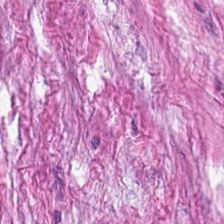Q: Identify the tissue.
A: The field shows desmoplastic stroma.
